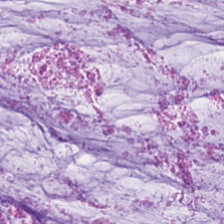This field is mucin.
